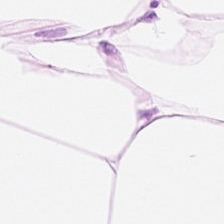H&E stain. WSI patch. This field is adipose.
